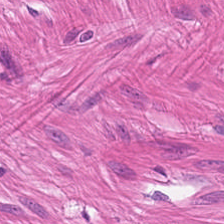Stain: hematoxylin-and-eosin stained section.
Tissue type: smooth muscle.
